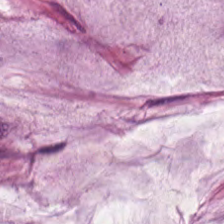H&E-stained tissue section showing mucus.
